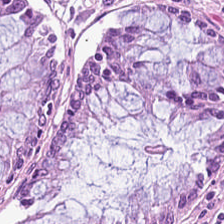224×224 px patch. Hematoxylin-and-eosin stained section — Tissue — normal colon mucosa.
